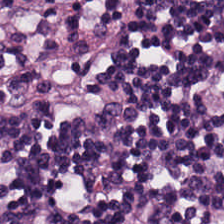H&E; formalin-fixed paraffin-embedded section. Showing lymphoid infiltrate.
